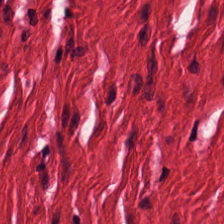H&E. 0.5 µm/px. The predominant tissue is muscularis.
